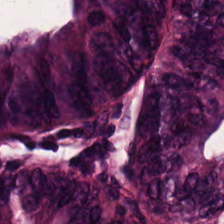The tissue type is malignant epithelium.
